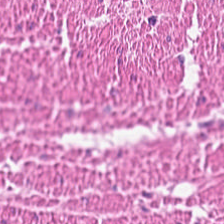Stain: H&E-stained tissue section.
Tissue: smooth muscle.
